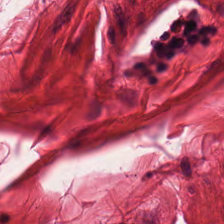This field is smooth-muscle tissue.
